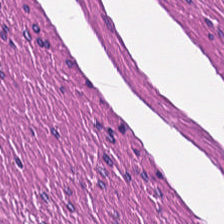224×224 pixel tile; H&E; FFPE tissue section — Tissue class — smooth muscle.
